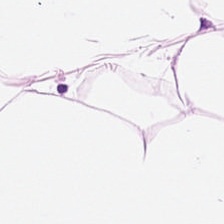0.5 µm per pixel · hematoxylin and eosin.
Q: What is shown in this field?
A: Fat tissue.
